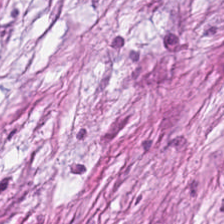H&E. The tissue here is cancer-associated stroma.
